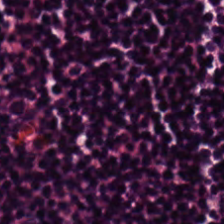Hematoxylin-and-eosin stained section — The predominant tissue is lymphocyte aggregate.
